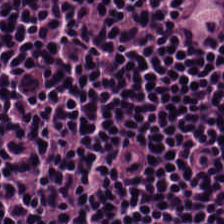Stain: H&E.
Preparation: FFPE tissue section.
Tissue: lymphocytes.
